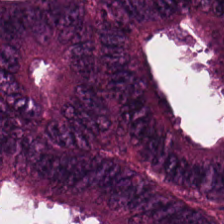Stain: H&E.
Tissue type: colorectal adenocarcinoma.
